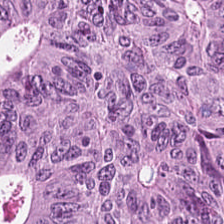H&E. The tissue here is adenocarcinoma.
